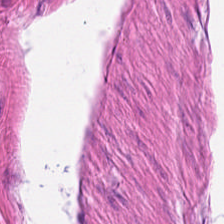H&E-stained tissue section. The predominant tissue is muscularis.
